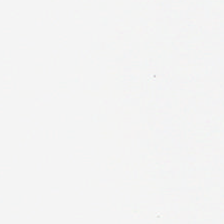Hematoxylin-and-eosin stained section. 224×224 px tile.
Background — no tissue in this field.
